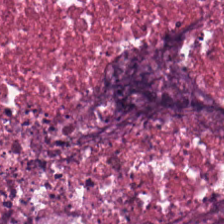The tissue here is cellular debris.
